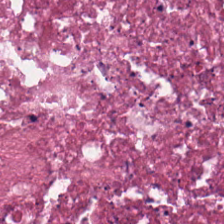Hematoxylin and eosin; FFPE. Classification — necrotic debris.
